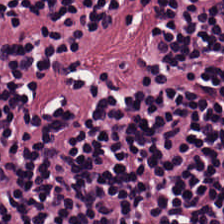20× equivalent magnification; H&E stain.
This patch shows lymphocytic infiltrate.
